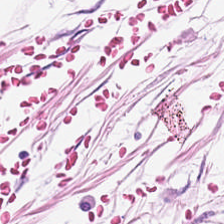Hematoxylin-and-eosin section: adipocytes.
